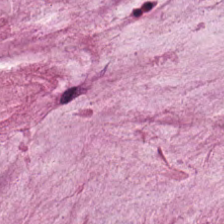H&E.
Q: What type of tissue is this?
A: Mucus.
